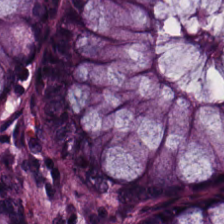FFPE tissue section · hematoxylin and eosin · WSI patch — Tissue — benign colonic mucosa.
